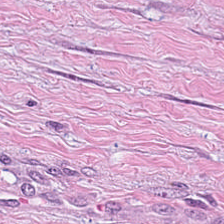H&E · 224×224 pixel tile. Cancer-associated stroma.
